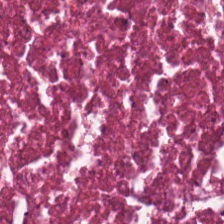0.5 microns per pixel · H&E stain — The predominant tissue is debris.
